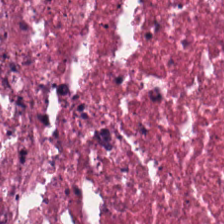Hematoxylin-and-eosin stained section.
This patch shows necrotic debris.
